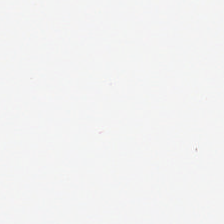Classification: no tissue.
